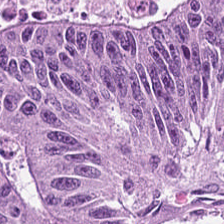H&E-stained tissue section. This patch shows adenocarcinoma.
